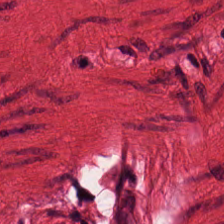H&E; 0.5 µm/px.
The tissue here is muscularis.
